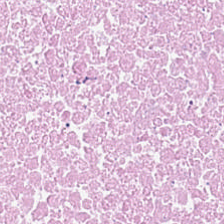20× equivalent magnification; hematoxylin-and-eosin stained section. This patch shows necrotic debris.
